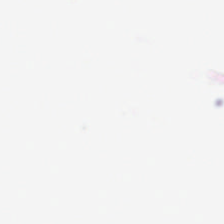FFPE · hematoxylin and eosin. This field is background (no tissue).
